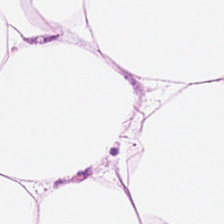H&E — fat tissue.
